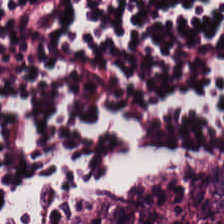Hematoxylin-and-eosin stained section.
Q: Identify the tissue.
A: Lymphocytes.
